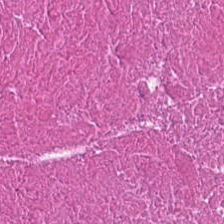The predominant tissue is debris.
